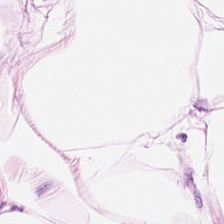Hematoxylin-and-eosin stained section.
Showing adipose.
